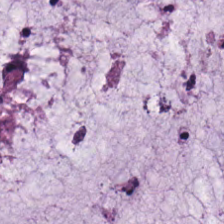Stain: H&E-stained tissue section.
Tissue type: mucin.
